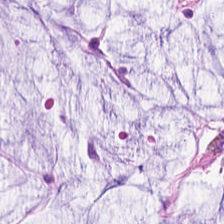H&E. Tissue class = mucin.
